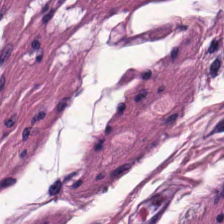Hematoxylin-and-eosin stained section. The predominant tissue is muscularis.
